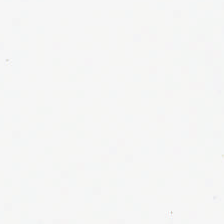Hematoxylin-and-eosin stained section.
Background — no tissue in this field.
